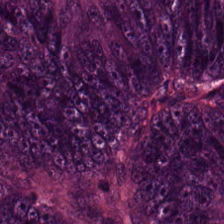H&E stain · 224×224 px patch. Showing colorectal adenocarcinoma epithelium.
